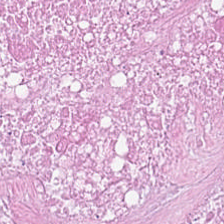Showing cellular debris.
